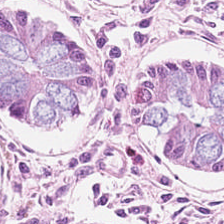H&E stain — Tissue class = benign colonic mucosa.
